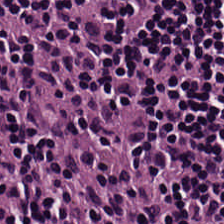FFPE tissue section · hematoxylin-and-eosin stained section · brightfield — Q: Identify the tissue.
A: Lymphocytic infiltrate.
